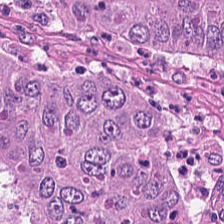Hematoxylin-and-eosin stained section — Classification — colorectal adenocarcinoma epithelium.
